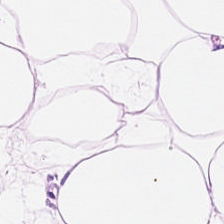The tissue type is adipocytes.
